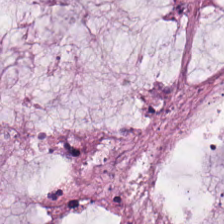Hematoxylin and eosin; 0.5 µm/px. This patch shows mucus.
